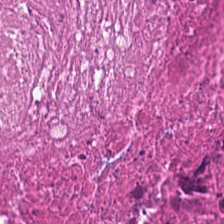Showing necrotic debris.
